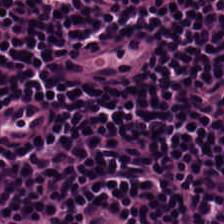H&E stain. The tissue here is lymphocyte aggregate.
